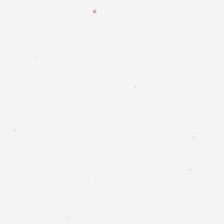H&E-stained tissue section. Empty field — no tissue.
